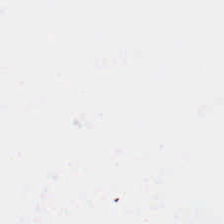H&E — Q: What is shown here?
A: It is background.
